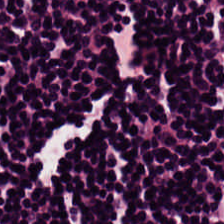H&E-stained tissue section. The tissue class is lymphocytes.
